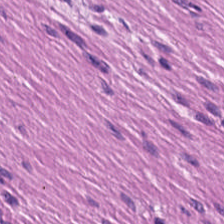H&E stain.
The predominant tissue is muscularis.
